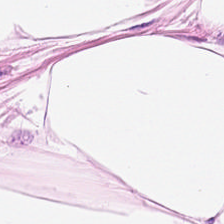The classification is fat tissue.
